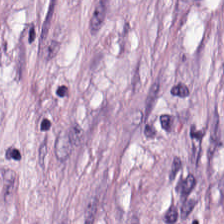Hematoxylin-and-eosin stained section · WSI patch. Predominantly cancer-associated stroma.
